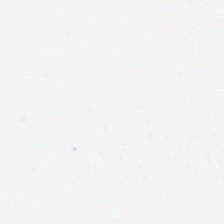Stain: hematoxylin-and-eosin stained section.
Resolution: 20× equivalent magnification.
Content: background.
